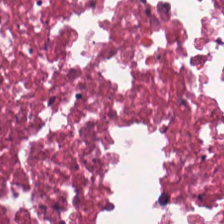Q: What is shown here?
A: The field shows necrotic debris.
